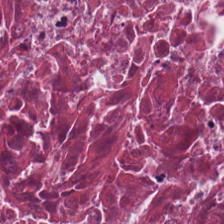Hematoxylin-and-eosin stained section — Impression → necrotic debris.
